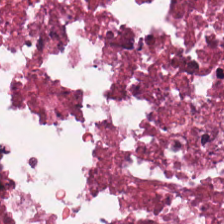Debris.
